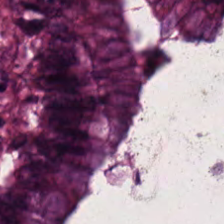Hematoxylin-and-eosin stained section. Predominant tissue = non-neoplastic colon mucosa.
